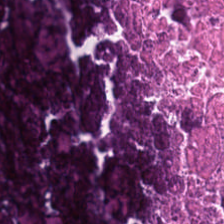Histology — necrotic debris.
